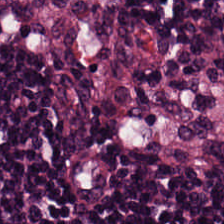This field is lymphocyte aggregate.
